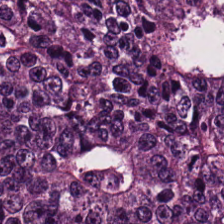H&E stain · 0.5 µm per pixel. Colorectal adenocarcinoma.
